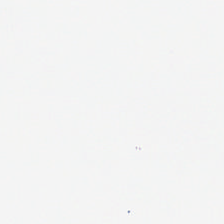Hematoxylin and eosin.
Histology — background (no tissue).
